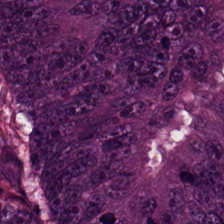Finding — tumor epithelium.
